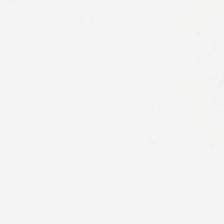H&E stain — Field content — background.
